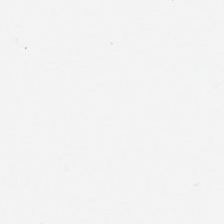H&E stain; 224×224 px tile.
This field is background (no tissue).
